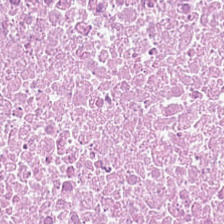224×224 px patch; FFPE tissue section; H&E-stained tissue section — The predominant tissue is cellular debris.
